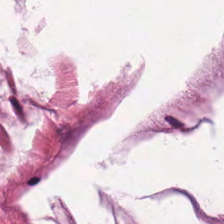WSI patch; H&E stain.
This patch shows mucus.
